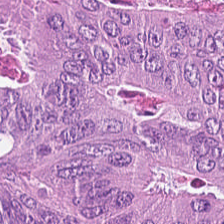Q: What is the predominant tissue type?
A: It is tumor epithelium.
